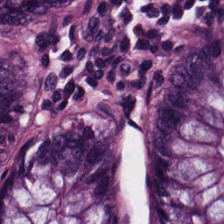Stain: hematoxylin-and-eosin stained section.
Classification: normal colonic mucosa.
